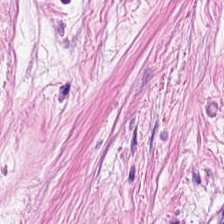Tumor-associated stroma.
